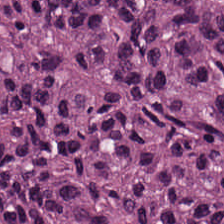Hematoxylin and eosin.
The tissue here is adenocarcinoma.
